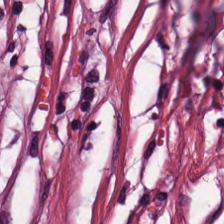Stain: hematoxylin and eosin.
Classification: tumor stroma.
